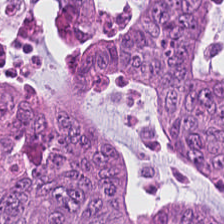224×224 px tile. H&E — Predominantly adenocarcinoma.
